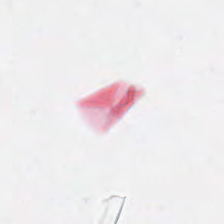Hematoxylin-and-eosin stained section; 0.5 µm per pixel. Q: Classify this patch.
A: Empty background.
